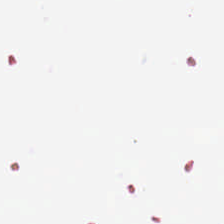Content — empty background.
